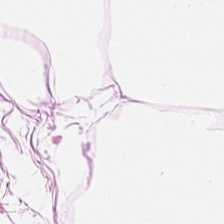Tissue class: adipose tissue.
